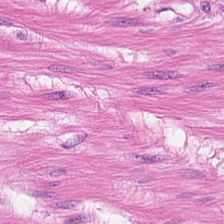H&E — This patch shows smooth-muscle tissue.
